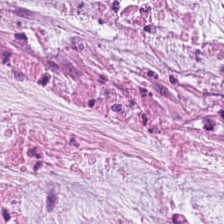Brightfield microscopy. Hematoxylin and eosin. 0.5 µm/px.
Tissue class = mucin.
